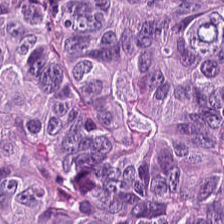0.5 µm/px; 224×224 px patch; hematoxylin-and-eosin stained section. Q: What tissue is shown?
A: Malignant epithelium.
